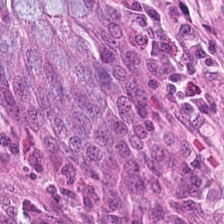Hematoxylin-and-eosin stained section — Classification = non-neoplastic colon mucosa.
